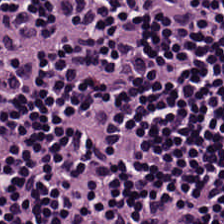Hematoxylin and eosin — Q: Identify the tissue.
A: The field shows lymphocyte aggregate.
